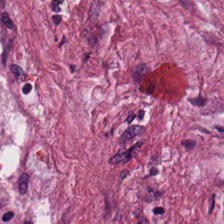H&E stain — Histology → tumor-associated stroma.
